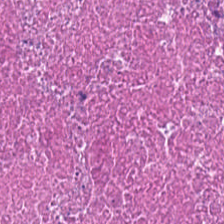H&E-stained tissue section. Finding → debris.
